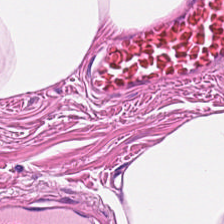Hematoxylin and eosin; 224×224 px tile.
The predominant tissue is smooth muscle.
